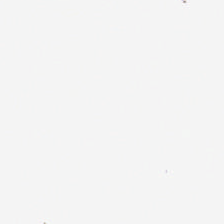Stain: hematoxylin and eosin.
Field content: background.
